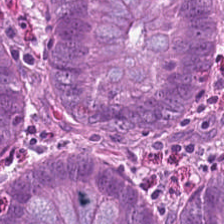H&E stain. The tissue here is normal colon mucosa.
